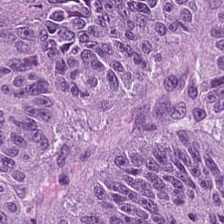Whole-slide-image patch. H&E-stained tissue section — {"tissue_type": "adenocarcinoma"}
